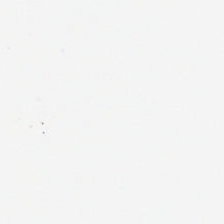Hematoxylin and eosin · 224×224 pixel tile — No tissue present; background only.
